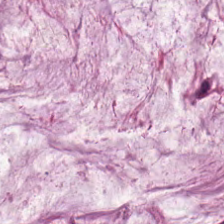224×224 pixel tile; hematoxylin-and-eosin stained section. Q: What is the predominant tissue type?
A: This is extracellular mucin.
